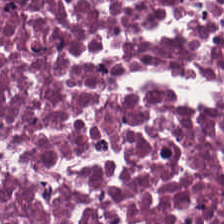FFPE tissue section; H&E stain; 224×224 px patch — Q: What tissue is shown?
A: This is necrotic debris.
